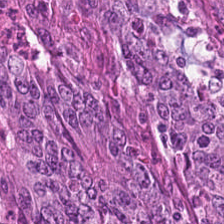The tissue type is malignant epithelium.
